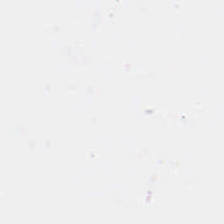Hematoxylin-and-eosin stained section. Content — empty background.
